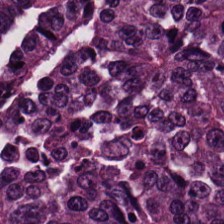{"tissue_type": "colorectal adenocarcinoma"}
